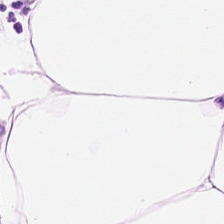Hematoxylin-and-eosin stained section — Adipose tissue.
